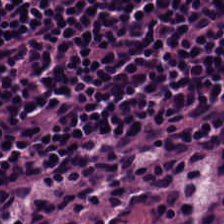Predominant tissue = lymphocyte aggregate.
